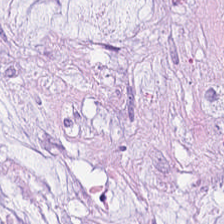H&E stain — {"tissue_type": "extracellular mucin"}
